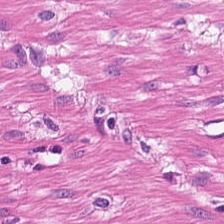Smooth-muscle tissue.
